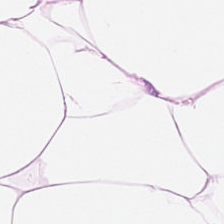H&E stain. Predominant tissue — adipose.
